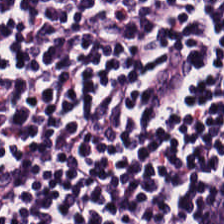The tissue here is lymphocyte aggregate.
